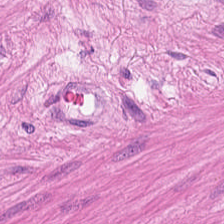FFPE tissue section · 224×224 px patch · H&E. The tissue class is smooth muscle.
